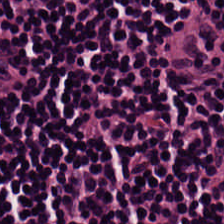H&E · 224×224 px patch — {"tissue_type": "lymphocytic infiltrate"}
